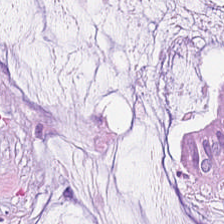Hematoxylin and eosin; 20× equivalent magnification; brightfield.
Q: Classify this patch.
A: The field shows extracellular mucin.
